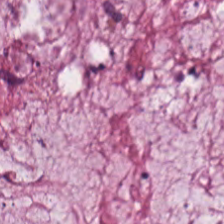H&E stain. Mucin.
